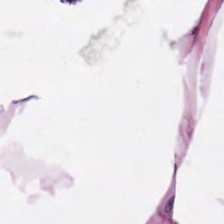This patch shows adipocytes.
